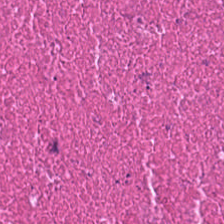20× equivalent magnification · formalin-fixed paraffin-embedded section · H&E stain. The tissue type is debris.
